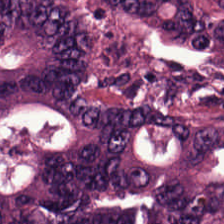Stain: hematoxylin and eosin.
Classification: adenocarcinoma.
